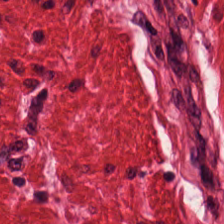Hematoxylin and eosin.
Predominantly muscularis.
